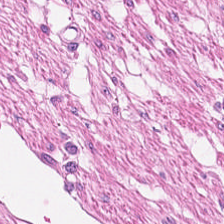Predominantly muscularis.
